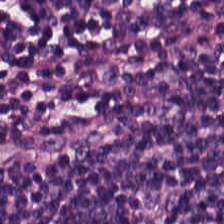FFPE. 0.5 µm/px. Hematoxylin-and-eosin stained section.
Impression → lymphocytes.
